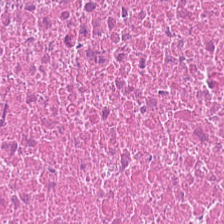Predominant tissue — necrotic debris.
